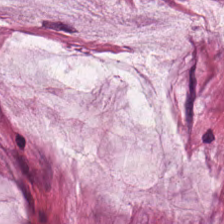Hematoxylin-and-eosin stained section. FFPE.
The predominant tissue is mucus.
